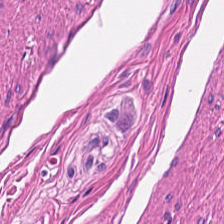Tissue class: smooth-muscle tissue.
